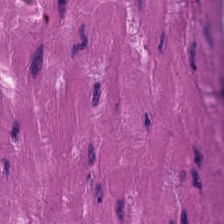Hematoxylin and eosin. Tissue class — smooth muscle.
